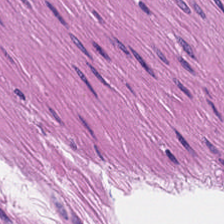H&E; 224×224 px patch — Muscularis.
